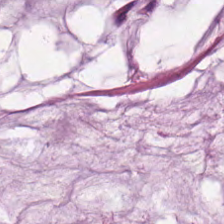FFPE tissue section. H&E-stained tissue section.
Predominant tissue = extracellular mucin.
